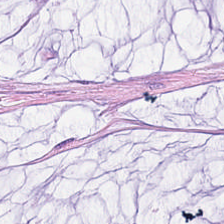Histology → extracellular mucin.
